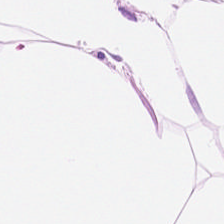Hematoxylin and eosin; FFPE. Classification: fat tissue.
